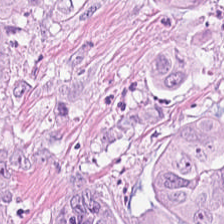The tissue here is adenocarcinoma.
